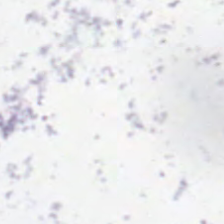Brightfield microscopy. Hematoxylin-and-eosin stained section.
Empty field — no tissue.
